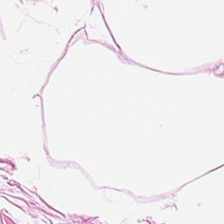Hematoxylin and eosin. Whole-slide-image patch.
Q: Identify the tissue.
A: This is fat tissue.
